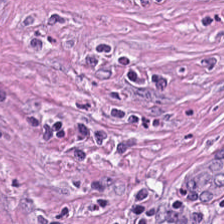Hematoxylin and eosin; formalin-fixed paraffin-embedded section — Showing desmoplastic stroma.
